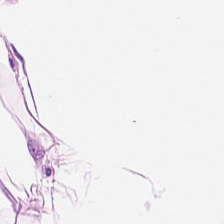Hematoxylin-and-eosin stained section · 0.5 microns per pixel.
Fat tissue.
